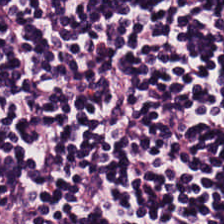Stain: H&E-stained tissue section.
Preparation: FFPE.
Predominant tissue: lymphocytic infiltrate.
